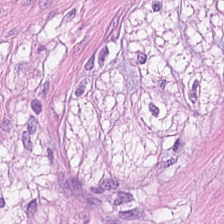Stain: hematoxylin-and-eosin stained section.
Predominant tissue: muscularis.
